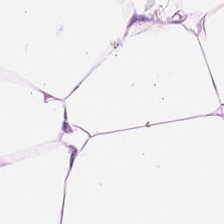20× equivalent magnification; H&E; brightfield — Tissue type: fat tissue.
